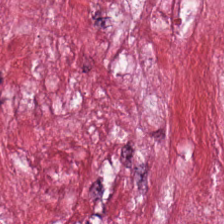H&E stain — This patch shows desmoplastic stroma.
